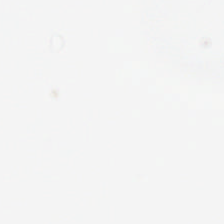Hematoxylin and eosin — Finding → empty background.
